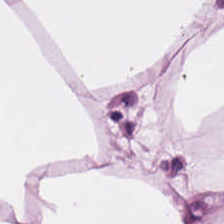Stain: hematoxylin-and-eosin stained section.
Tissue: adipose tissue.
